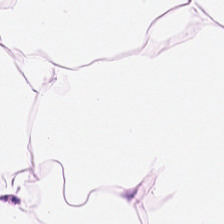Formalin-fixed paraffin-embedded section. Hematoxylin and eosin. 224×224 px tile — {"tissue_type": "fat tissue"}
